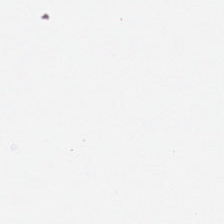No tissue present; background only.
